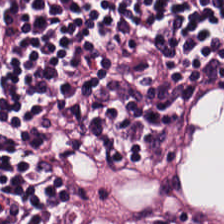H&E stain. Finding — lymphocyte aggregate.
